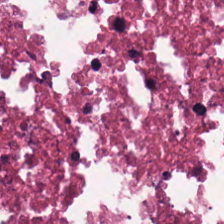H&E-stained tissue section · FFPE tissue section — Predominantly debris.
